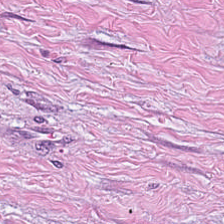Stain: H&E stain.
Tissue class: cancer-associated stroma.
